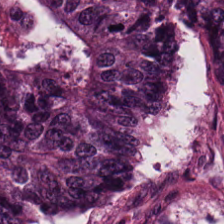Stain: H&E-stained tissue section.
Predominant tissue: adenocarcinoma.
